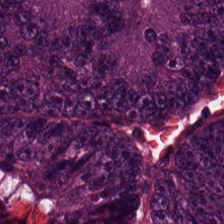Finding → colorectal adenocarcinoma.
